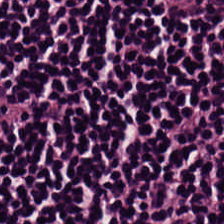Stain: H&E stain.
Tissue: lymphocyte aggregate.
